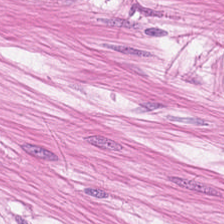H&E. Predominantly muscularis.
